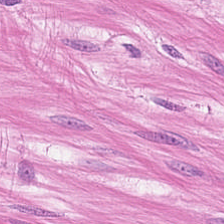H&E-stained tissue section showing smooth muscle.
